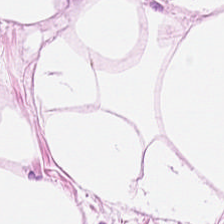Hematoxylin-and-eosin stained section. The classification is fat tissue.
